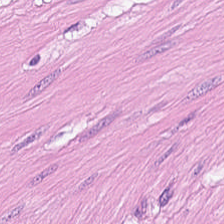Stain: H&E stain.
Classification: muscularis.
